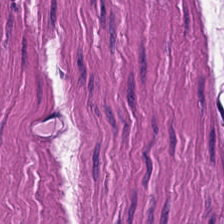H&E stain.
Tissue: smooth muscle.
